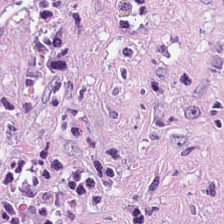Stain: hematoxylin and eosin.
Preparation: FFPE tissue section.
Acquisition: WSI patch.
Tissue type: tumor stroma.
